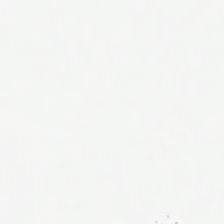Hematoxylin and eosin · FFPE tissue section.
Content — no tissue.
